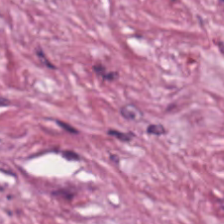Q: What tissue is shown?
A: Tumor-associated stroma.
